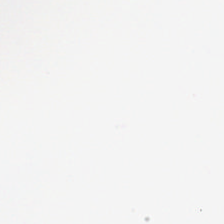H&E stain · 0.5 microns per pixel — Classification: empty background.
